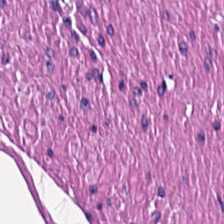Hematoxylin-and-eosin stained section — Predominant tissue = muscularis.
